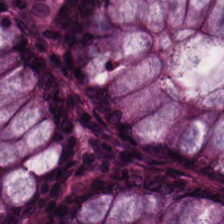Stain: hematoxylin and eosin.
Tissue: benign colonic mucosa.
